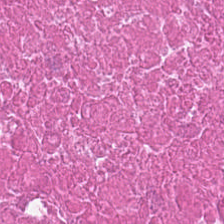Hematoxylin-and-eosin stained section.
{"tissue_type": "necrotic debris"}
